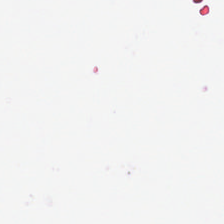H&E-stained tissue section · 0.5 µm per pixel — Field content = background (no tissue).
